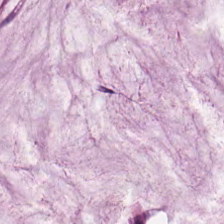H&E stain — This field is mucin.
